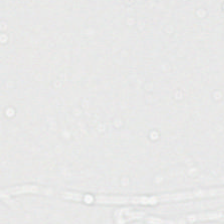This patch shows background (no tissue).
